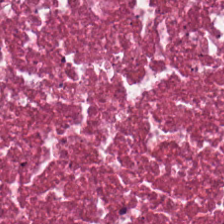Stain: hematoxylin and eosin.
Resolution: 0.5 µm per pixel.
Tile size: 224×224 px tile.
Classification: debris.
